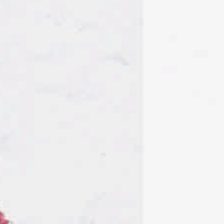0.5 µm/px. Formalin-fixed paraffin-embedded section. H&E stain.
Finding — background.
